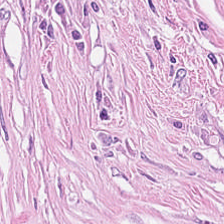H&E stain — Q: What is the predominant tissue type?
A: This is tumor stroma.
